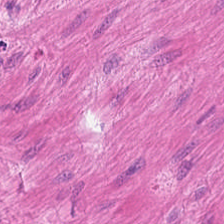Q: What is shown here?
A: The field shows muscularis.
